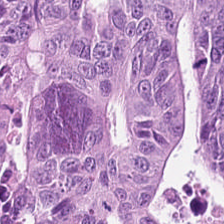Hematoxylin and eosin; 224×224 pixel tile; FFPE.
Q: What is shown in this field?
A: This is adenocarcinoma.
